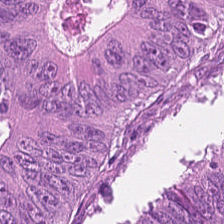Hematoxylin-and-eosin stained section. Brightfield. {"tissue_type": "colorectal adenocarcinoma epithelium"}
